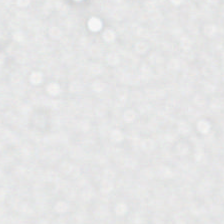FFPE; brightfield; H&E stain — Classification — empty background.
